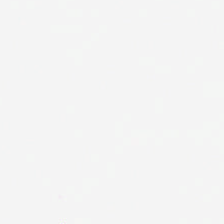Stain: H&E.
Content: background.
